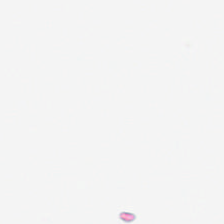No tissue.
